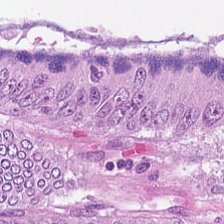H&E.
This field is colorectal adenocarcinoma epithelium.
